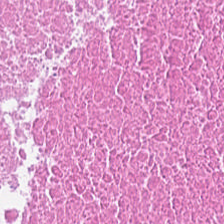Hematoxylin and eosin. FFPE tissue section. Brightfield — Tissue type — necrotic debris.
